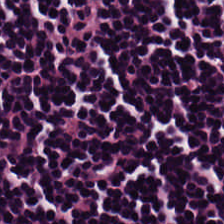Stain: H&E stain.
Tissue class: lymphocyte aggregate.
